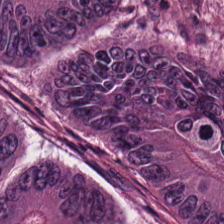Whole-slide-image patch. H&E.
The tissue here is malignant epithelium.
